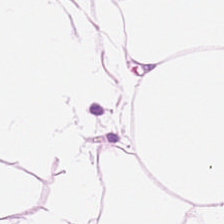Stain: H&E-stained tissue section.
Tissue class: adipose tissue.
